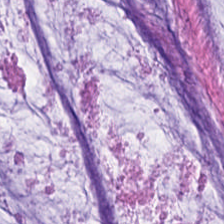H&E-stained tissue section; 20× equivalent magnification.
This patch shows mucin.
